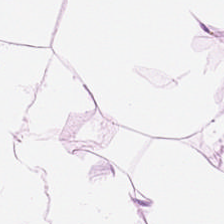H&E stain · 224×224 pixel tile.
This field is adipose tissue.
